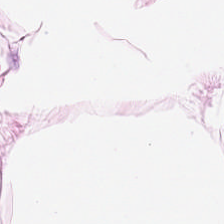H&E stain. Formalin-fixed paraffin-embedded section. Q: What tissue is shown?
A: This is fat tissue.
